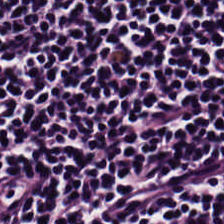Hematoxylin-and-eosin stained section. Predominantly lymphocytic infiltrate.
